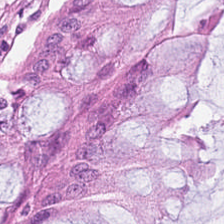FFPE. H&E stain. 20× equivalent magnification.
Non-neoplastic colon mucosa.
